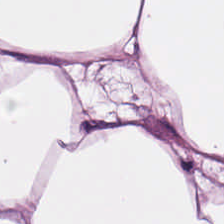Hematoxylin-and-eosin stained section.
Classification — fat tissue.
